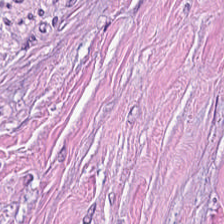Q: Identify the tissue.
A: The field shows tumor-associated stroma.
